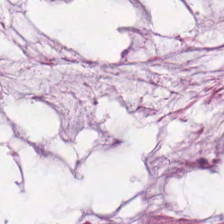H&E — Q: What is the predominant tissue type?
A: The field shows mucus.
